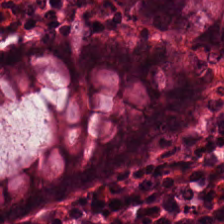Hematoxylin and eosin; WSI patch.
Q: What is the predominant tissue type?
A: This is non-neoplastic colon mucosa.
